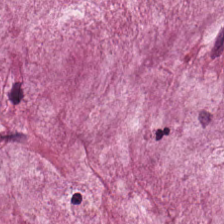Q: What is the predominant tissue type?
A: Mucus.
